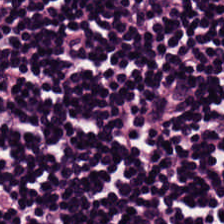WSI patch. Hematoxylin and eosin. Formalin-fixed paraffin-embedded section.
Q: Classify this patch.
A: This is lymphocyte aggregate.
